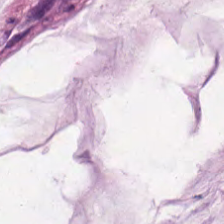20× equivalent magnification; WSI patch; hematoxylin-and-eosin stained section. Predominantly mucin.
